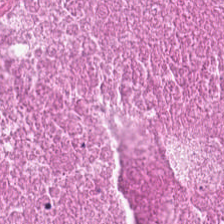Finding → necrotic debris.
